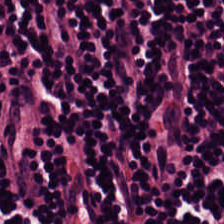H&E stain. Formalin-fixed paraffin-embedded section. Classification: lymphocyte aggregate.
